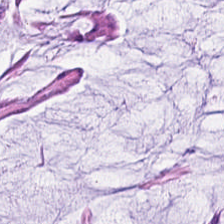Predominant tissue = mucus.
